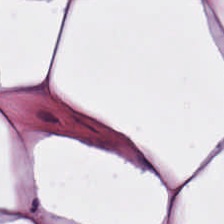Hematoxylin-and-eosin stained section. Q: What is shown in this field?
A: This is adipose tissue.
